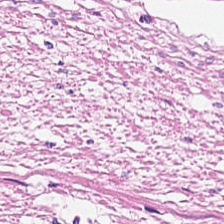Hematoxylin-and-eosin section: smooth-muscle tissue.
